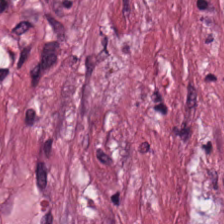224×224 pixel tile · H&E — This patch shows tumor-associated stroma.
